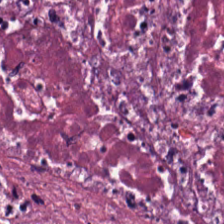Showing debris.
